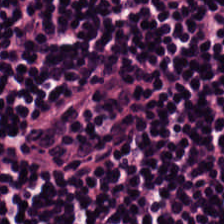H&E — lymphocytes.
